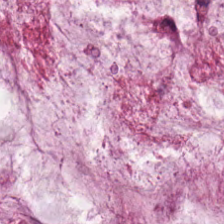H&E stain · whole-slide-image patch · FFPE.
The tissue here is mucus.
